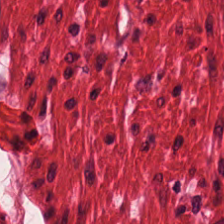Hematoxylin-and-eosin stained section. Showing smooth-muscle tissue.
